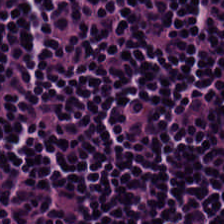Hematoxylin-and-eosin stained section. 224×224 pixel tile.
Q: What is shown in this field?
A: Lymphocyte aggregate.
